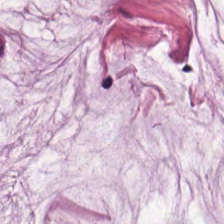Hematoxylin and eosin — Q: What does this patch show?
A: It is extracellular mucin.
